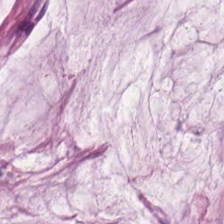Hematoxylin and eosin — The predominant tissue is mucin.
